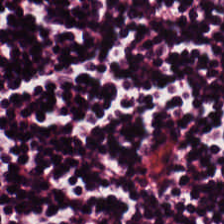H&E-stained tissue section.
Showing lymphocyte aggregate.
